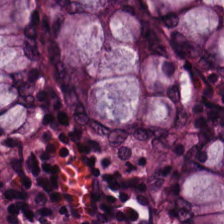Hematoxylin-and-eosin stained section. 224×224 px tile.
Q: Classify this patch.
A: This is non-neoplastic colon mucosa.
